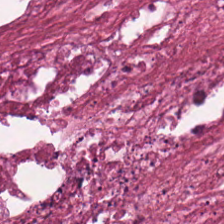This field is cellular debris.
